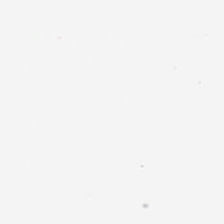Q: What does this patch show?
A: It is empty background.
